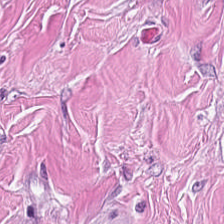Hematoxylin-and-eosin stained section. Predominantly tumor-associated stroma.
